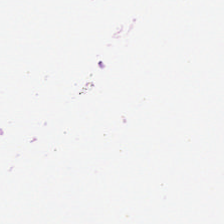Q: What is shown in this field?
A: The field shows no tissue.
